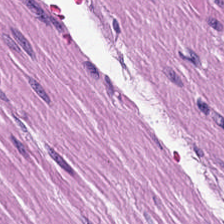H&E-stained tissue section. Q: Identify the tissue.
A: This is muscularis.
